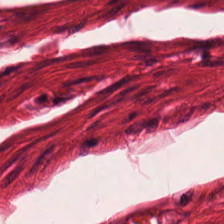Stain: H&E stain.
Tile size: 224×224 px patch.
Resolution: 0.5 µm/px.
Predominant tissue: smooth-muscle tissue.
